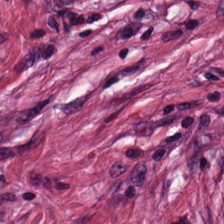H&E-stained tissue section. Impression — desmoplastic stroma.
